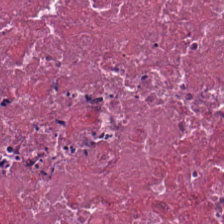Showing necrotic debris.
